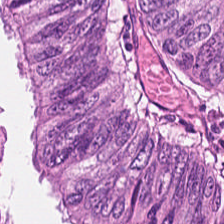Hematoxylin and eosin; FFPE tissue section; brightfield microscopy — Predominantly colorectal adenocarcinoma.
